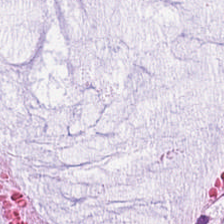Hematoxylin-and-eosin stained section · FFPE tissue section · 20× equivalent magnification.
Impression → mucin.
